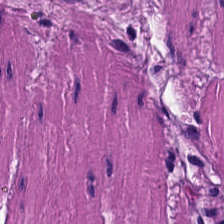The predominant tissue is muscularis.
